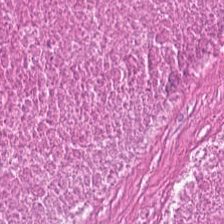H&E.
Q: Classify this patch.
A: Cellular debris.
